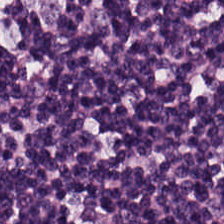224×224 px patch. Hematoxylin and eosin — Finding — lymphocytes.
